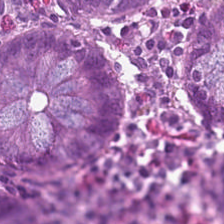Stain: hematoxylin and eosin.
Predominant tissue: normal colon mucosa.
